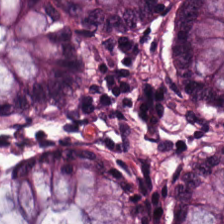H&E. Formalin-fixed paraffin-embedded section — The predominant tissue is normal colon mucosa.
